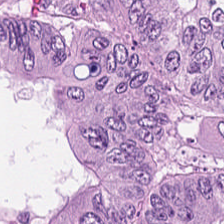H&E-stained tissue section. 20× equivalent magnification. Predominant tissue = colorectal adenocarcinoma.
